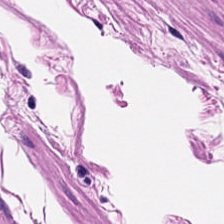H&E — Finding → muscularis.
